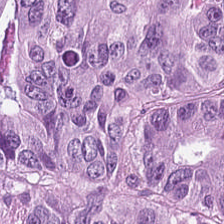Formalin-fixed paraffin-embedded section. H&E stain. Histology — tumor epithelium.
